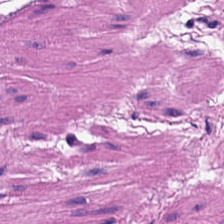Impression — muscularis.
